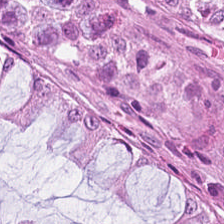Hematoxylin and eosin. Classification = non-neoplastic colon mucosa.
